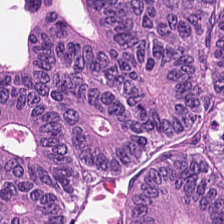Q: What is the predominant tissue type?
A: The field shows adenocarcinoma.
